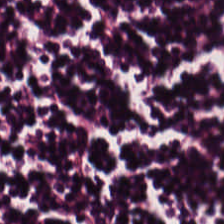Hematoxylin-and-eosin stained section.
Classification: lymphocytic infiltrate.
